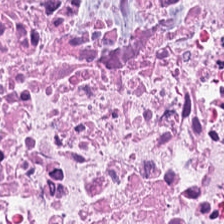Stain: H&E.
Tile size: 224×224 pixel tile.
Predominant tissue: cellular debris.
